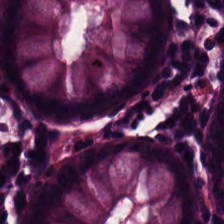Hematoxylin-and-eosin stained section. This patch shows benign colonic mucosa.
